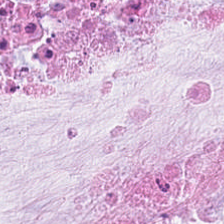Hematoxylin-and-eosin stained section. Showing extracellular mucin.
